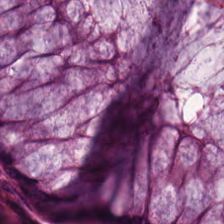H&E stain.
Classification: non-neoplastic colon mucosa.
